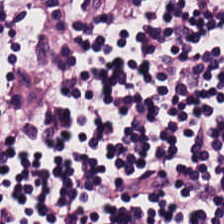H&E — lymphocytes.
